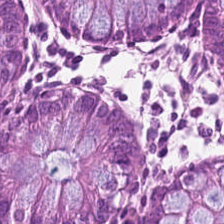Hematoxylin-and-eosin stained section. 224×224 px patch.
Q: What tissue type is shown here?
A: Benign colonic mucosa.
